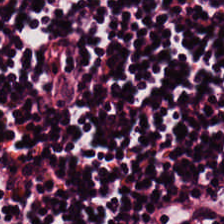H&E. 224×224 pixel tile.
Predominant tissue — lymphoid infiltrate.
